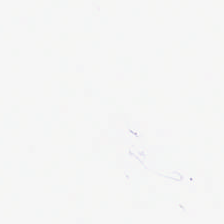224×224 pixel tile; hematoxylin and eosin; 0.5 µm/px — Field content: background.
